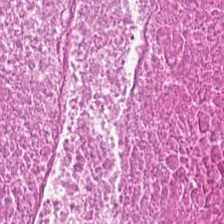Q: What is the predominant tissue type?
A: Cellular debris.
